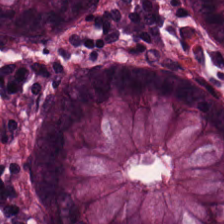Hematoxylin-and-eosin section: benign colonic mucosa.
